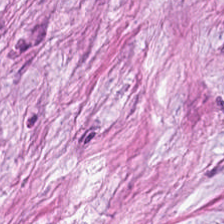224×224 pixel tile · H&E stain.
Cancer-associated stroma.
